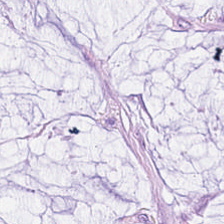Hematoxylin and eosin. Q: What is the predominant tissue type?
A: It is mucus.
